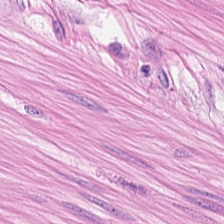Hematoxylin and eosin. Predominantly smooth-muscle tissue.
